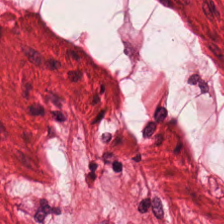H&E stain. FFPE tissue section. 224×224 pixel tile.
This patch shows muscularis.
